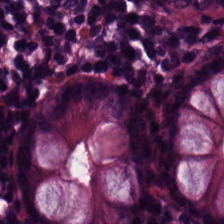Formalin-fixed paraffin-embedded section. Hematoxylin-and-eosin stained section. 224×224 pixel tile — Finding → normal colonic mucosa.
